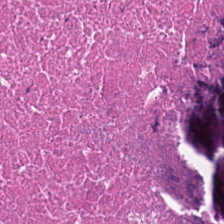Hematoxylin-and-eosin stained section; FFPE tissue section.
Q: Identify the tissue.
A: This is necrotic debris.
